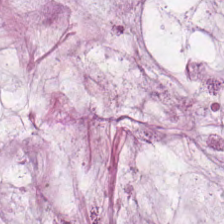Formalin-fixed paraffin-embedded section · H&E. Mucus.
